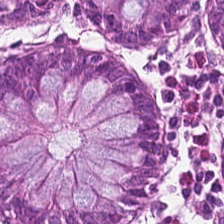H&E stain. 0.5 µm per pixel.
Predominant tissue = normal colon mucosa.
